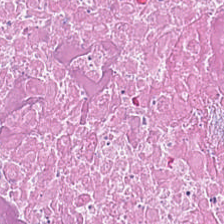224×224 pixel tile · H&E.
Q: What type of tissue is this?
A: Cellular debris.
